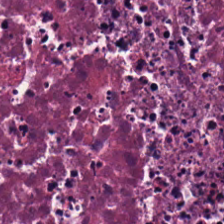{"tissue_type": "necrotic debris"}
